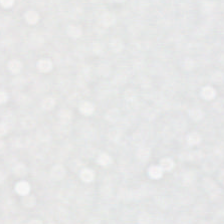Stain: hematoxylin and eosin.
Content: background (no tissue).
